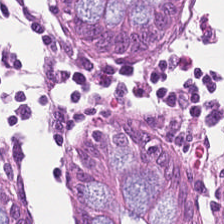224×224 pixel tile. WSI patch. Hematoxylin-and-eosin stained section — {"tissue_type": "normal colonic mucosa"}
